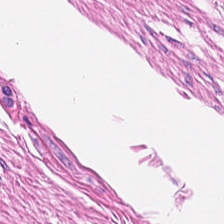224×224 px tile. H&E. Formalin-fixed paraffin-embedded section.
Showing smooth-muscle tissue.
